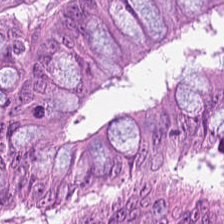H&E patch showing malignant epithelium.
